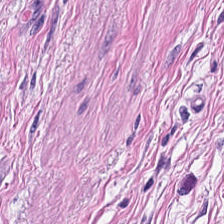H&E-stained tissue section.
Q: Identify the tissue.
A: It is muscularis.
